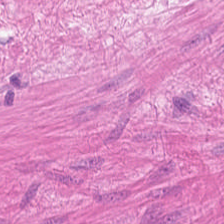FFPE tissue section. Hematoxylin and eosin — This patch shows smooth muscle.
